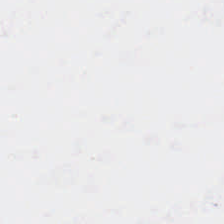Stain: hematoxylin and eosin.
Content: no tissue.
